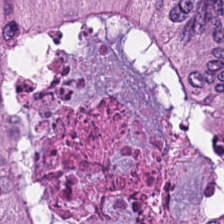Histology — colorectal adenocarcinoma.
